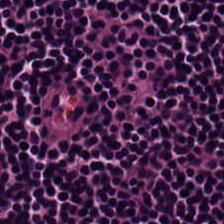H&E-stained tissue section; 224×224 px patch. Tissue: lymphocytic infiltrate.
